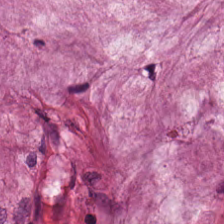H&E-stained tissue section. Tissue class = mucus.
